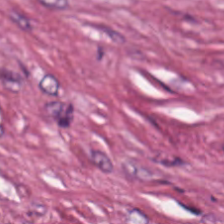Hematoxylin and eosin — Finding — tumor stroma.
